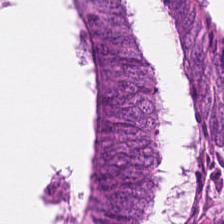H&E-stained tissue section — This field is colorectal adenocarcinoma epithelium.
